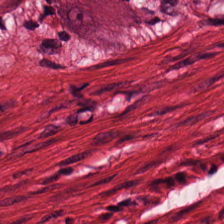Hematoxylin and eosin. Brightfield.
Classification — smooth muscle.
